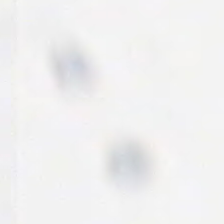H&E — Content — no tissue.
